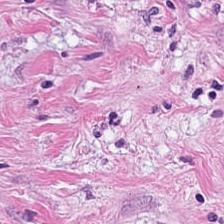H&E-stained tissue section. Tissue class = desmoplastic stroma.
